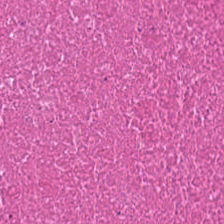The predominant tissue is necrotic debris.
